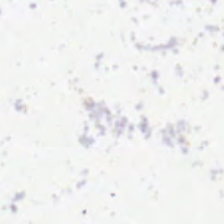Background.
